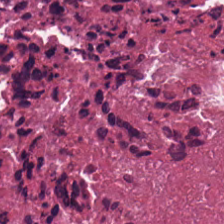Q: What tissue type is shown here?
A: It is necrotic debris.
